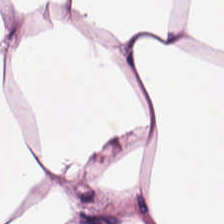Brightfield; H&E stain; 224×224 px patch.
This patch shows adipocytes.
